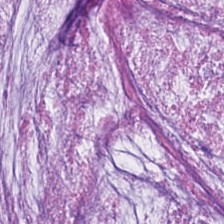H&E; brightfield.
Classification — mucus.
